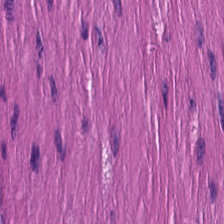Hematoxylin-and-eosin stained section — The tissue class is smooth muscle.
